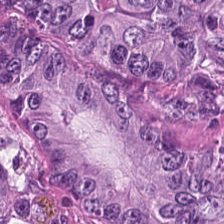H&E-stained tissue section; 224×224 px tile; brightfield.
This field is colorectal adenocarcinoma.
